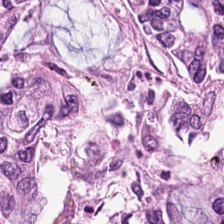The tissue is colorectal adenocarcinoma epithelium.
